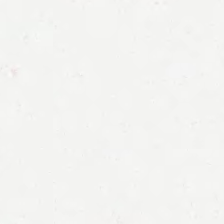Stain: H&E.
Content: background (no tissue).
